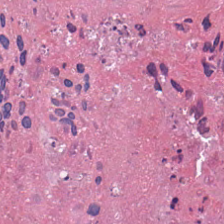224×224 px patch · hematoxylin-and-eosin stained section · 0.5 µm/px.
Necrotic debris.
